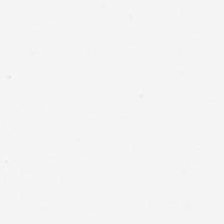Formalin-fixed paraffin-embedded section. 224×224 px patch. H&E stain — Content = no tissue.
